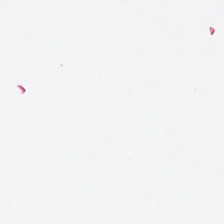H&E stain.
Content — background (no tissue).
